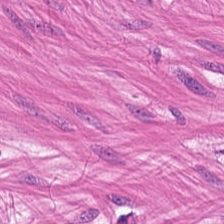Hematoxylin-and-eosin stained section. Histology → smooth-muscle tissue.
